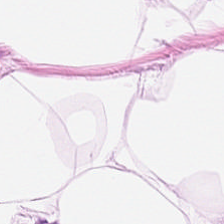Stain: hematoxylin and eosin.
Tissue class: adipose tissue.
